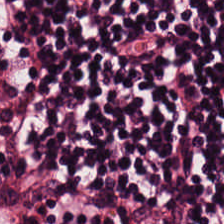Q: What does this patch show?
A: This is lymphocytic infiltrate.
